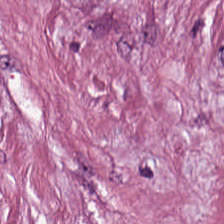Hematoxylin-and-eosin stained section; 224×224 pixel tile; brightfield microscopy.
The tissue here is cancer-associated stroma.
